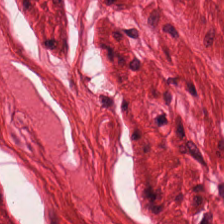This patch shows smooth-muscle tissue.
